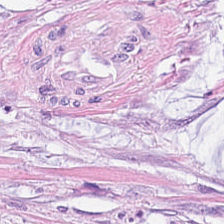H&E stain.
Q: What is the predominant tissue type?
A: It is mucus.
